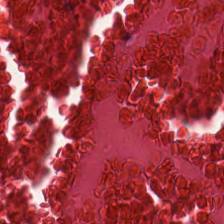224×224 pixel tile; H&E — Q: What is shown here?
A: Cellular debris.
